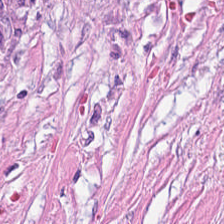0.5 µm/px; FFPE; hematoxylin-and-eosin stained section. The classification is tumor stroma.
